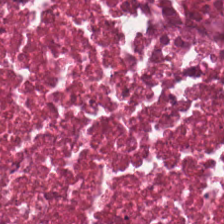H&E. Showing debris.
